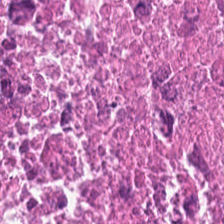H&E · 224×224 pixel tile.
Q: What is shown here?
A: This is cellular debris.
